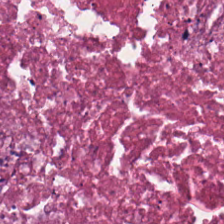Q: Classify this patch.
A: Debris.
